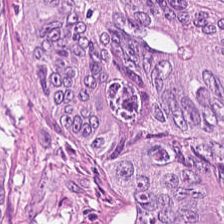H&E stain — Q: Identify the tissue.
A: This is adenocarcinoma.
